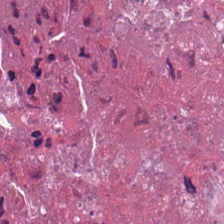0.5 microns per pixel · hematoxylin and eosin · formalin-fixed paraffin-embedded section — This field is cellular debris.
